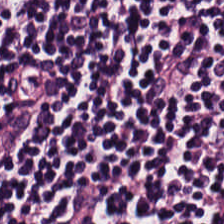0.5 µm/px · hematoxylin and eosin. The tissue class is lymphocyte aggregate.
